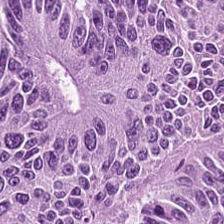Hematoxylin and eosin — Q: What is shown here?
A: Colorectal adenocarcinoma epithelium.
